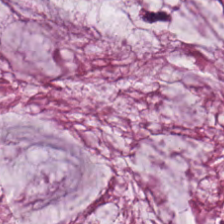H&E stain.
The predominant tissue is mucin.
